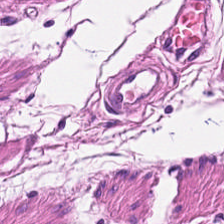H&E stain — Q: What is shown here?
A: It is smooth muscle.
